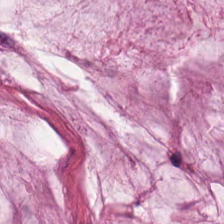Hematoxylin-and-eosin stained section — The predominant tissue is mucin.
